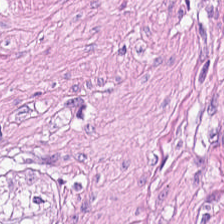H&E-stained tissue section. Impression → muscularis.
